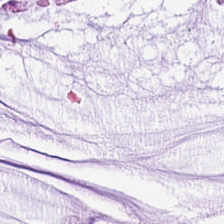20× equivalent magnification · H&E.
Q: What type of tissue is this?
A: Extracellular mucin.
